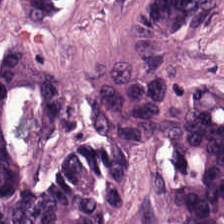Stain: hematoxylin-and-eosin stained section.
Tissue class: adenocarcinoma.
